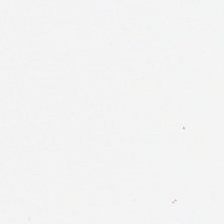Content: empty background.
